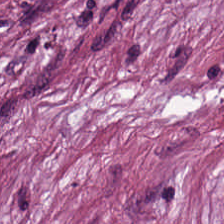H&E-stained tissue section · whole-slide-image patch. Impression — desmoplastic stroma.
